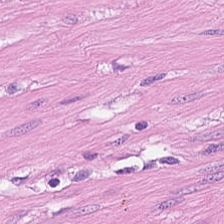WSI patch; hematoxylin-and-eosin stained section — Q: What is the predominant tissue type?
A: Smooth muscle.
